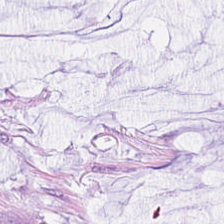Hematoxylin and eosin. WSI patch. Tissue type — mucus.
